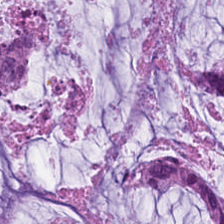Hematoxylin and eosin; FFPE tissue section; brightfield microscopy. Tissue type = mucus.
